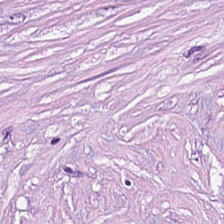H&E · 224×224 px patch.
Predominantly cancer-associated stroma.
